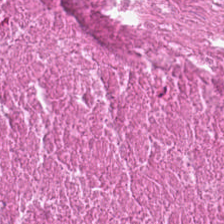{"tissue_type": "necrotic debris"}
